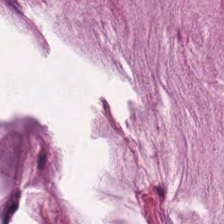Stain: H&E.
Tissue class: mucus.
